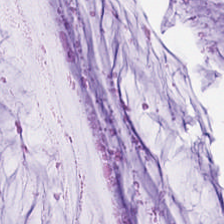Hematoxylin and eosin. Classification = extracellular mucin.
